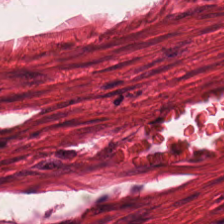H&E stain; brightfield.
Classification = muscularis.
